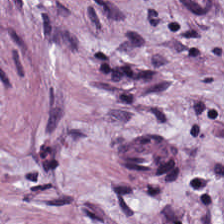0.5 µm/px; hematoxylin and eosin; 224×224 pixel tile — Predominantly tumor-associated stroma.
